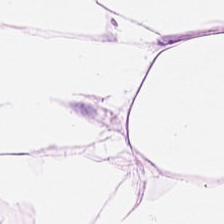H&E stain; formalin-fixed paraffin-embedded section. Q: What tissue type is shown here?
A: The field shows fat tissue.
